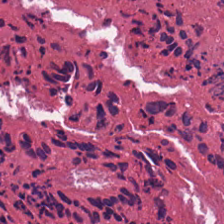Formalin-fixed paraffin-embedded section. H&E — Q: Identify the tissue.
A: Debris.
